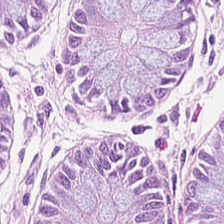Stain: H&E.
Classification: normal colonic mucosa.
